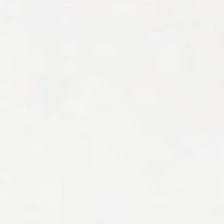Stain: hematoxylin-and-eosin stained section.
Classification: background (no tissue).
